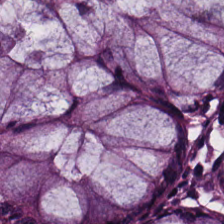Hematoxylin and eosin. 224×224 px tile. 0.5 microns per pixel. This field is non-neoplastic colon mucosa.
